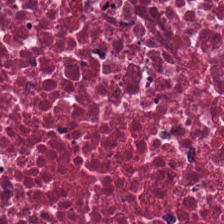Stain: hematoxylin-and-eosin stained section.
Preparation: formalin-fixed paraffin-embedded section.
Tissue type: cellular debris.
